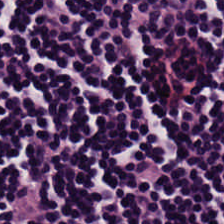Q: What is the predominant tissue type?
A: It is lymphocytes.
